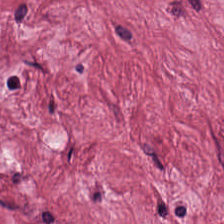224×224 pixel tile. WSI patch. H&E. Predominantly cancer-associated stroma.
